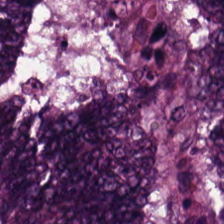Stain: H&E-stained tissue section.
Tile size: 224×224 pixel tile.
Tissue type: colorectal adenocarcinoma.
